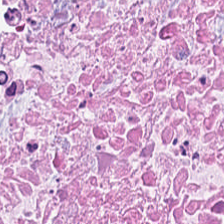Hematoxylin-and-eosin stained section.
{"tissue_type": "cellular debris"}
